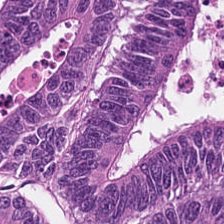Hematoxylin and eosin. Histology → colorectal adenocarcinoma.
